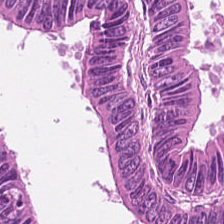Brightfield microscopy; hematoxylin-and-eosin stained section — The tissue class is tumor epithelium.
